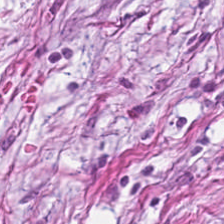Stain: hematoxylin-and-eosin stained section.
Acquisition: brightfield microscopy.
Tissue type: cancer-associated stroma.
